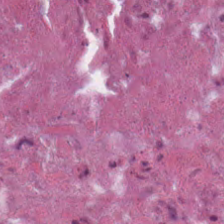H&E stain; brightfield microscopy.
The predominant tissue is cellular debris.
